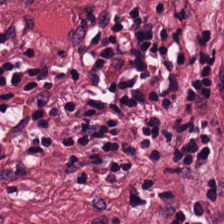H&E-stained tissue section.
Q: What tissue type is shown here?
A: This is tumor-associated stroma.
